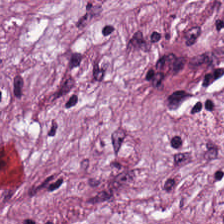Hematoxylin-and-eosin stained section. Predominantly tumor stroma.
